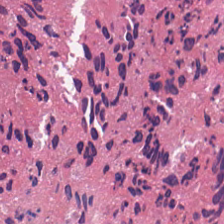The predominant tissue is debris.
